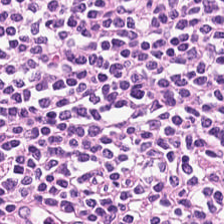H&E. The tissue here is lymphocytes.
